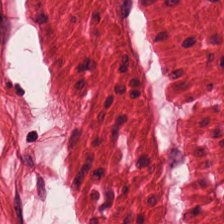Hematoxylin and eosin. Q: What is shown in this field?
A: Smooth-muscle tissue.
